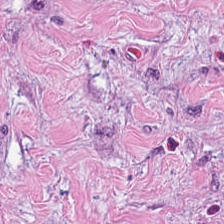FFPE tissue section · H&E-stained tissue section.
Q: What does this patch show?
A: Tumor stroma.
